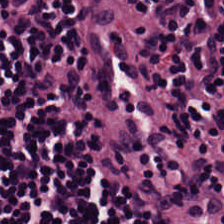Stain: H&E.
Tissue type: lymphocyte aggregate.
